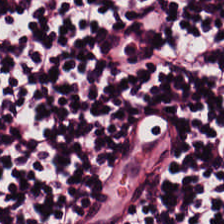0.5 microns per pixel · 224×224 px patch · hematoxylin-and-eosin stained section.
Q: What tissue is shown?
A: It is lymphocytic infiltrate.
